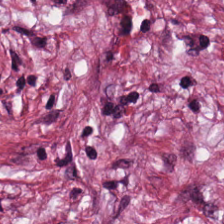WSI patch. Hematoxylin and eosin — The predominant tissue is tumor stroma.
